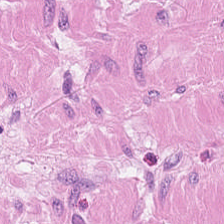224×224 px patch. H&E-stained tissue section. Formalin-fixed paraffin-embedded section — The classification is smooth-muscle tissue.
